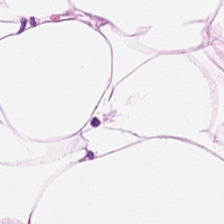H&E patch showing adipose.
